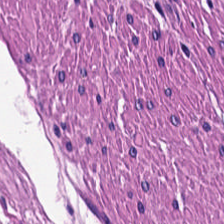Hematoxylin-and-eosin stained section — Impression → smooth muscle.
